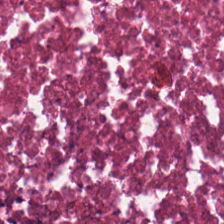H&E stain; brightfield.
Tissue type — cellular debris.
